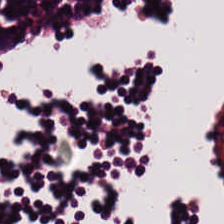WSI patch. H&E.
Predominantly lymphocytes.
